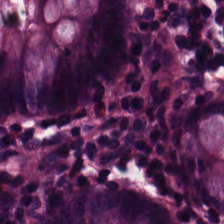The tissue here is normal colonic mucosa.
